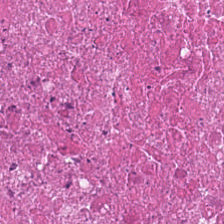Hematoxylin-and-eosin stained section · FFPE. Debris.
